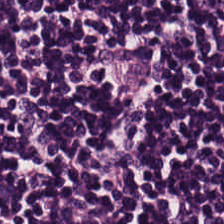Hematoxylin and eosin.
Impression — lymphocytes.
